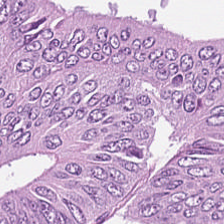FFPE · H&E.
Showing malignant epithelium.
